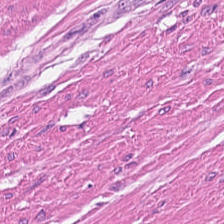Brightfield microscopy; hematoxylin-and-eosin stained section.
Q: What is shown in this field?
A: The field shows smooth muscle.
